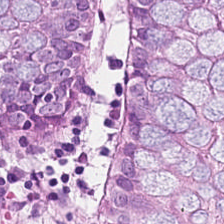Tissue = normal colonic mucosa.
